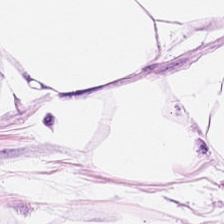Tissue class: adipose tissue.
